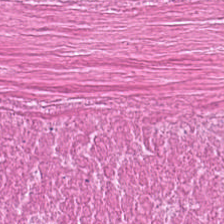Q: What is shown in this field?
A: Cellular debris.
